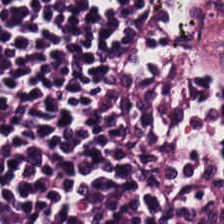0.5 µm/px. 224×224 px tile. H&E. Q: What is the predominant tissue type?
A: This is lymphocytic infiltrate.
